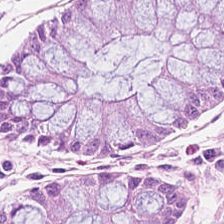Stain: H&E-stained tissue section.
Tile size: 224×224 pixel tile.
Acquisition: brightfield microscopy.
Tissue type: non-neoplastic colon mucosa.
